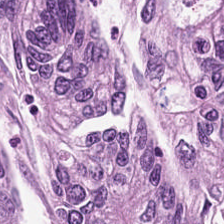Hematoxylin and eosin. Finding — adenocarcinoma.
